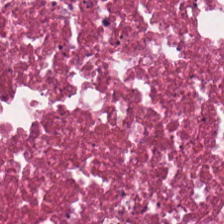FFPE; brightfield microscopy; hematoxylin and eosin — Tissue class = cellular debris.
